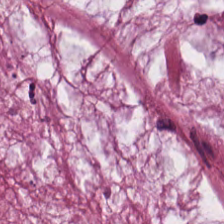The predominant tissue is extracellular mucin.
